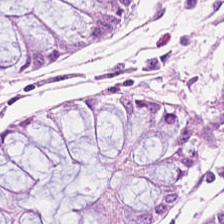Stain: H&E-stained tissue section.
Classification: normal colon mucosa.
